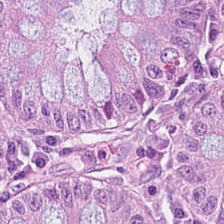224×224 px tile; WSI patch; H&E stain. The predominant tissue is non-neoplastic colon mucosa.
